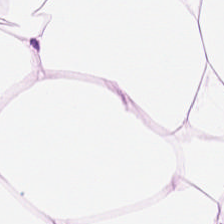Hematoxylin-and-eosin stained section — Finding — adipocytes.
